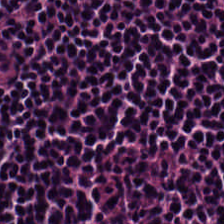H&E-stained tissue section. 224×224 px patch. 0.5 microns per pixel. Q: Identify the tissue.
A: The field shows lymphocyte aggregate.
